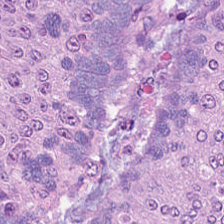Stain: hematoxylin-and-eosin stained section.
Resolution: 0.5 µm per pixel.
Tile size: 224×224 px tile.
Tissue class: malignant epithelium.
